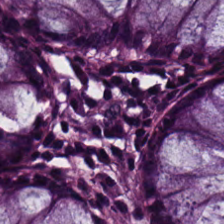The tissue class is non-neoplastic colon mucosa.
